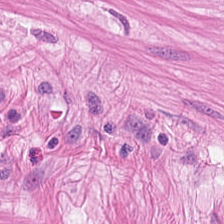224×224 px tile. H&E stain — Tissue type — muscularis.
